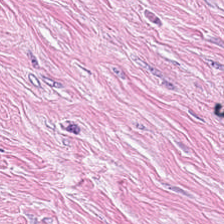H&E-stained tissue section; brightfield. Classification = cancer-associated stroma.
